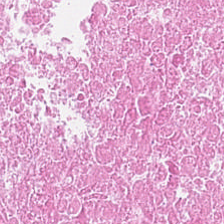H&E.
Predominant tissue: cellular debris.
